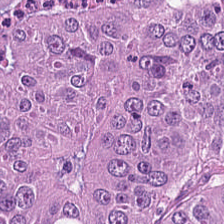Predominant tissue — adenocarcinoma.
